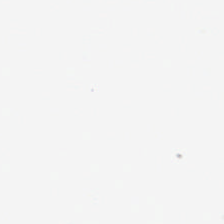Hematoxylin and eosin. Impression — empty background.
